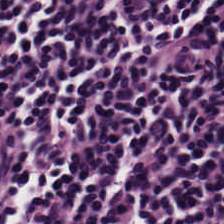Hematoxylin and eosin.
Showing lymphocyte aggregate.
